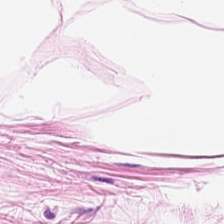H&E; 224×224 px tile.
Q: What tissue type is shown here?
A: The field shows adipocytes.
